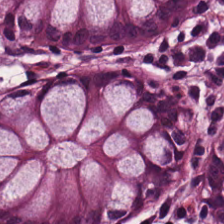Hematoxylin-and-eosin stained section.
This field is normal colonic mucosa.
